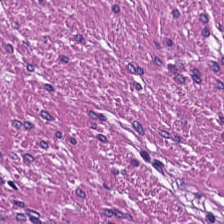224×224 pixel tile · 0.5 µm/px · hematoxylin-and-eosin stained section — The tissue here is muscularis.
